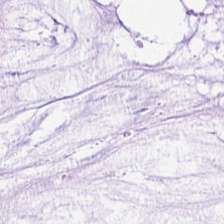Hematoxylin-and-eosin stained section.
Showing mucin.
